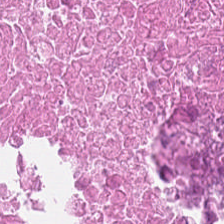This patch shows debris.
